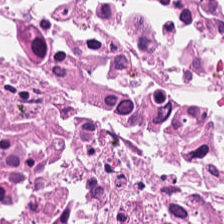Stain: H&E-stained tissue section.
Tissue: debris.
